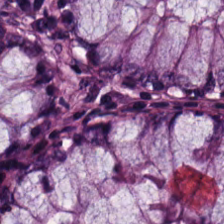H&E. 0.5 µm per pixel.
Showing normal colonic mucosa.
